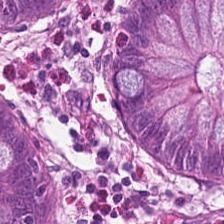Stain: H&E stain.
Tissue: non-neoplastic colon mucosa.
